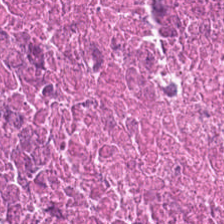Hematoxylin-and-eosin stained section.
Tissue = cellular debris.
